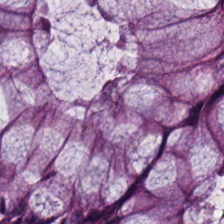Hematoxylin-and-eosin stained section — Tissue = normal colonic mucosa.
